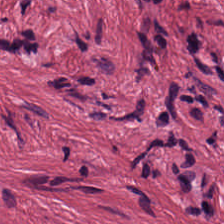Finding → desmoplastic stroma.
